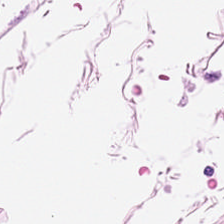Hematoxylin and eosin.
The tissue type is adipose tissue.
